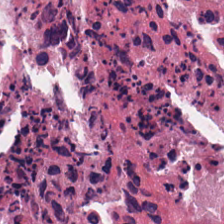224×224 pixel tile. H&E-stained tissue section.
The tissue here is necrotic debris.
